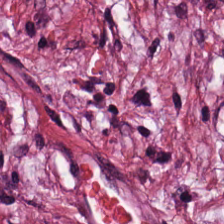Q: What type of tissue is this?
A: Cancer-associated stroma.
